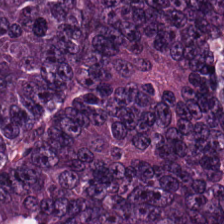H&E-stained tissue section showing malignant epithelium.
